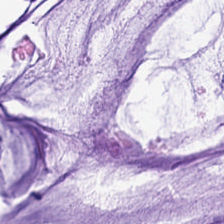H&E stain. Classification = mucus.
